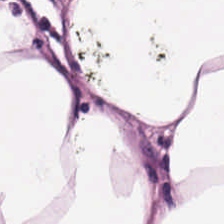FFPE tissue section. Hematoxylin-and-eosin stained section. WSI patch — Finding — adipose.
